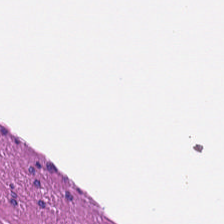Predominant tissue = muscularis.
